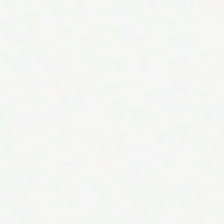FFPE tissue section. Hematoxylin and eosin. Classification: empty background.
